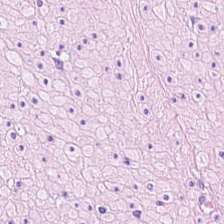Hematoxylin and eosin. 0.5 µm/px — Tissue — smooth-muscle tissue.
